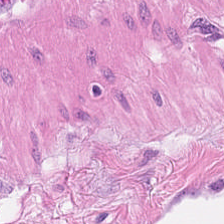Stain: H&E.
Tissue type: muscularis.
